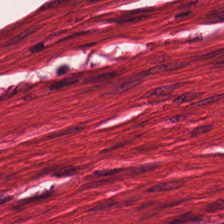Stain: H&E-stained tissue section.
Tissue: muscularis.
